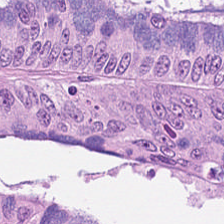Stain: hematoxylin-and-eosin stained section.
Acquisition: whole-slide-image patch.
Preparation: FFPE.
Tissue: malignant epithelium.
